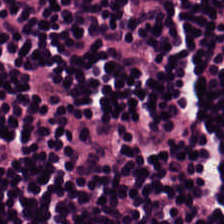H&E patch showing lymphocyte aggregate.
